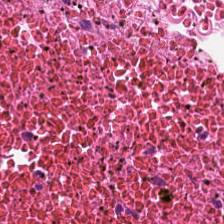Finding → cellular debris.
